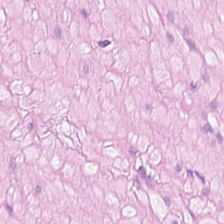Hematoxylin-and-eosin stained section. Q: What is shown in this field?
A: It is smooth muscle.
